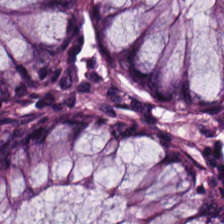Q: Classify this patch.
A: Normal colonic mucosa.
